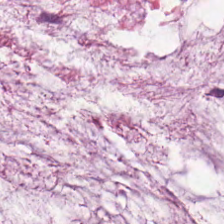The tissue here is extracellular mucin.
